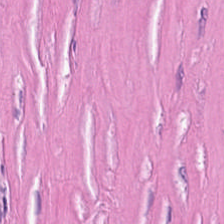Hematoxylin-and-eosin stained section · 0.5 µm/px — This patch shows tumor-associated stroma.
